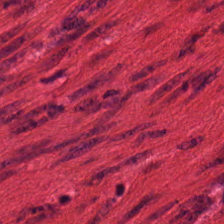Stain: H&E.
Tissue class: smooth muscle.
